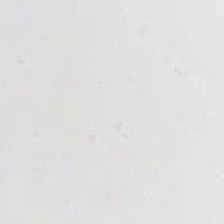H&E-stained tissue section — Background.
